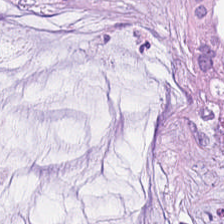The predominant tissue is mucin.
